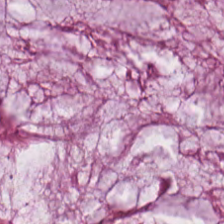H&E · FFPE tissue section.
Mucin.
